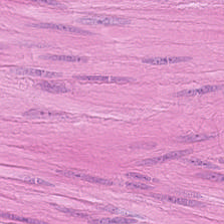H&E stain — Predominant tissue — smooth-muscle tissue.
